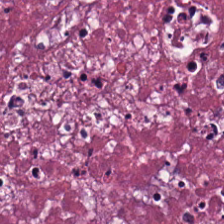Hematoxylin and eosin — This patch shows debris.
